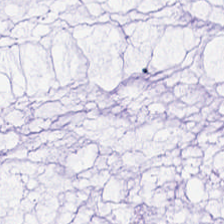{"tissue_type": "mucus"}
